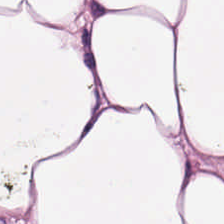H&E-stained section; the field shows fat tissue.
